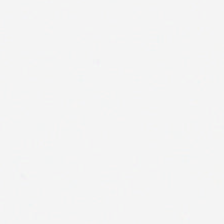H&E stain. Background — no tissue in this field.
